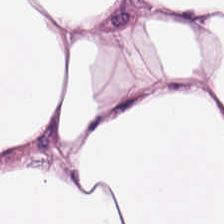Tissue type: adipose tissue.
